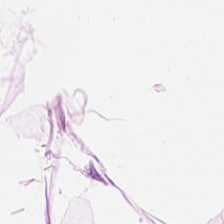Hematoxylin-and-eosin stained section; brightfield microscopy — Histology — adipose.
